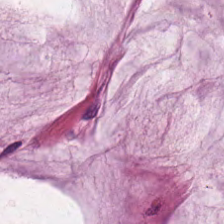Impression → mucin.
